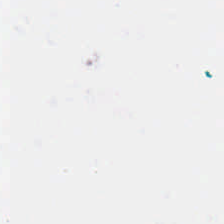This patch shows background.
